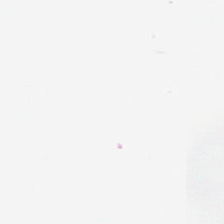Hematoxylin-and-eosin stained section; 224×224 px patch. Background — no tissue in this field.
